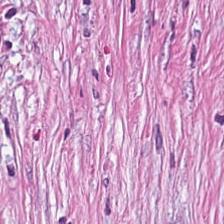H&E stain · 20× equivalent magnification — This patch shows desmoplastic stroma.
